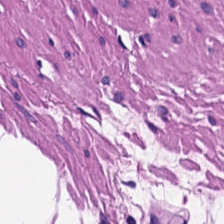Stain: H&E stain.
Classification: smooth-muscle tissue.
